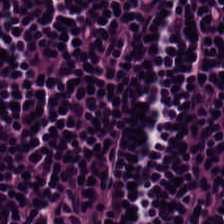Stain: hematoxylin and eosin.
Classification: lymphocyte aggregate.
